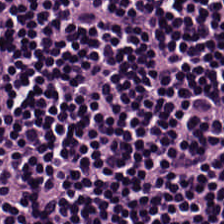224×224 pixel tile; hematoxylin-and-eosin stained section.
The tissue here is lymphocytic infiltrate.
